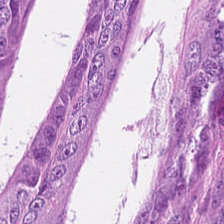Hematoxylin-and-eosin stained section — Classification — colorectal adenocarcinoma.
